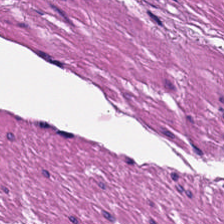224×224 px tile · hematoxylin-and-eosin stained section.
Predominantly smooth muscle.
